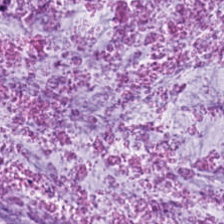Hematoxylin and eosin. 224×224 pixel tile — Q: Classify this patch.
A: It is extracellular mucin.
